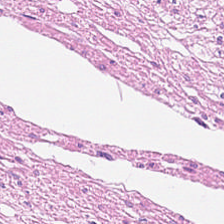Stain: H&E.
Acquisition: whole-slide-image patch.
Tile size: 224×224 px patch.
Classification: smooth-muscle tissue.
